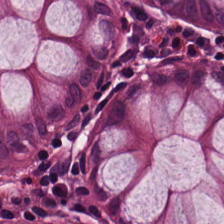Hematoxylin and eosin. The predominant tissue is benign colonic mucosa.
